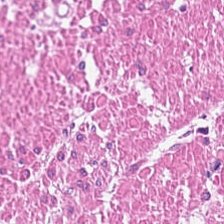0.5 microns per pixel. Hematoxylin-and-eosin stained section. 224×224 px tile. This patch shows muscularis.
